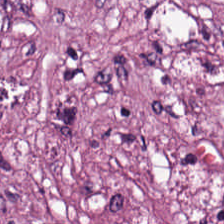H&E · 0.5 µm/px — The predominant tissue is tumor stroma.
